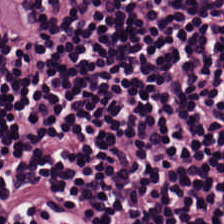Stain: hematoxylin-and-eosin stained section.
Preparation: formalin-fixed paraffin-embedded section.
Tile size: 224×224 px patch.
Tissue class: lymphocytic infiltrate.
